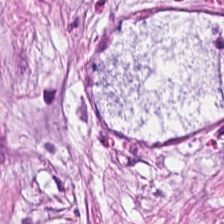H&E. 0.5 microns per pixel — Predominantly cancer-associated stroma.
